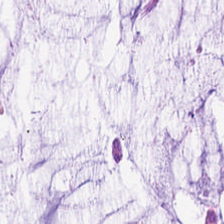Formalin-fixed paraffin-embedded section; hematoxylin-and-eosin stained section; 0.5 microns per pixel.
Tissue type = mucus.
